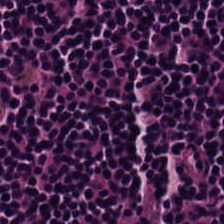H&E patch showing lymphoid infiltrate.
